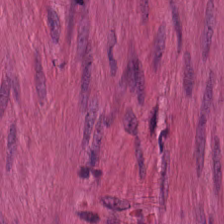H&E stain · 224×224 px tile — Predominantly smooth-muscle tissue.
